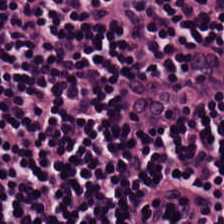FFPE. Hematoxylin-and-eosin stained section. 0.5 µm per pixel.
Lymphoid infiltrate.
